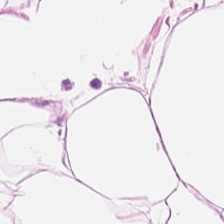Brightfield; FFPE; H&E-stained tissue section — Q: What tissue type is shown here?
A: Adipose.
